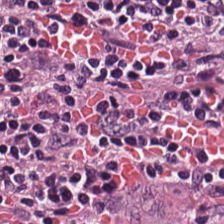Impression → lymphoid infiltrate.
